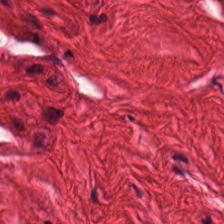Hematoxylin-and-eosin stained section. Brightfield microscopy. Q: What is shown here?
A: Smooth-muscle tissue.
